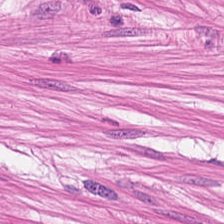H&E-stained tissue section.
Q: What type of tissue is this?
A: Smooth muscle.
